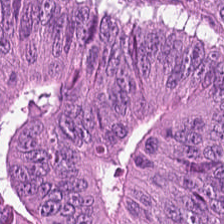Hematoxylin and eosin; 224×224 pixel tile; brightfield. The tissue here is colorectal adenocarcinoma epithelium.
